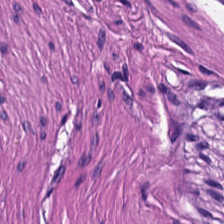This field is muscularis.
